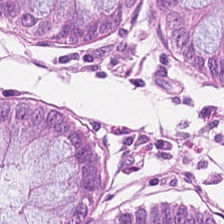Hematoxylin and eosin · 0.5 µm/px · 224×224 px tile. Predominant tissue: benign colonic mucosa.
